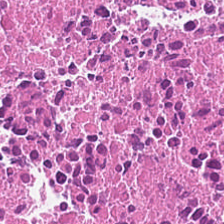Hematoxylin and eosin. Predominant tissue: cellular debris.
